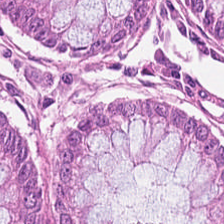Hematoxylin-and-eosin stained section — Normal colon mucosa.
